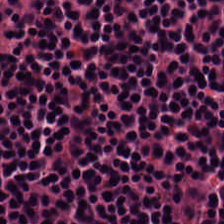FFPE; H&E — Tissue type = lymphocytic infiltrate.
